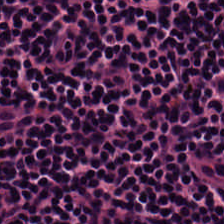Lymphocytic infiltrate.
